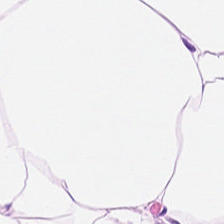224×224 px tile; H&E stain.
Showing adipose.
